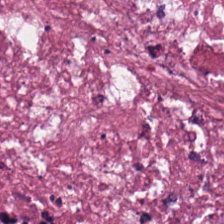H&E. 0.5 µm/px. FFPE — Tissue type: debris.
